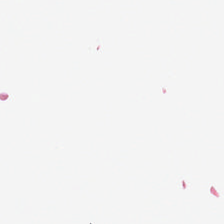Stain: H&E.
Tile size: 224×224 px patch.
Content: empty background.
